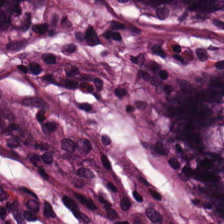0.5 µm/px · brightfield · H&E stain.
This field is non-neoplastic colon mucosa.
